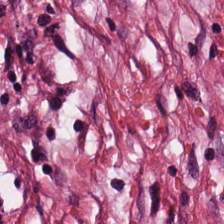This patch shows tumor-associated stroma.
